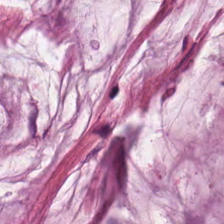FFPE tissue section. H&E-stained tissue section.
Predominant tissue: mucin.
